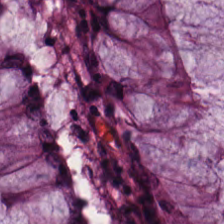Hematoxylin-and-eosin stained section. WSI patch. Q: What tissue is shown?
A: It is non-neoplastic colon mucosa.
